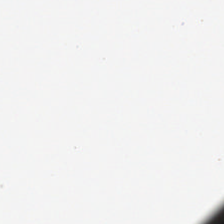H&E stain — This field is background (no tissue).
